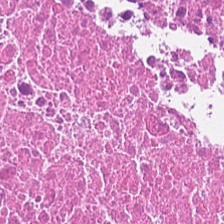Hematoxylin and eosin; whole-slide-image patch; 224×224 px tile.
The tissue here is cellular debris.
